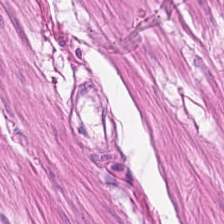H&E-stained tissue section — Q: What is the predominant tissue type?
A: This is smooth-muscle tissue.
